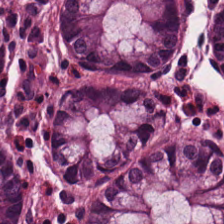{"tissue_type": "non-neoplastic colon mucosa"}
